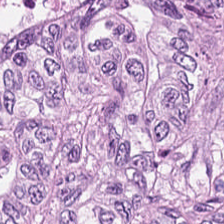Stain: H&E stain.
Acquisition: whole-slide-image patch.
Resolution: 0.5 µm/px.
Classification: tumor epithelium.
